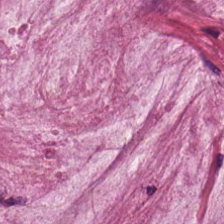224×224 pixel tile; H&E-stained tissue section; 0.5 microns per pixel — Predominantly mucus.
